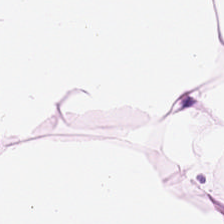Stain: H&E.
Tissue class: adipocytes.
